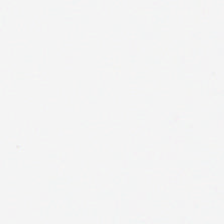H&E. Field content — background (no tissue).
